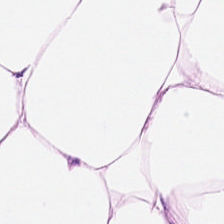Hematoxylin-and-eosin stained section · 224×224 pixel tile · WSI patch. The tissue here is adipose.
